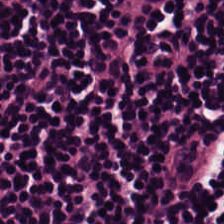H&E-stained tissue section. 224×224 pixel tile — Predominantly lymphocytic infiltrate.
